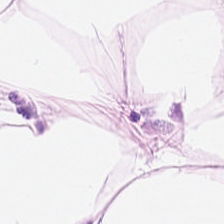Hematoxylin and eosin. {"tissue_type": "adipose tissue"}
